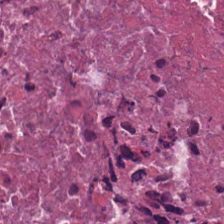Q: What is shown here?
A: It is debris.
